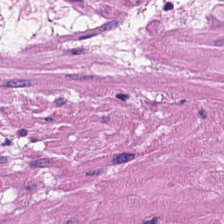Formalin-fixed paraffin-embedded section. H&E stain — The tissue class is smooth muscle.
